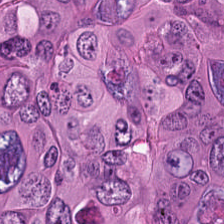Tissue class — tumor epithelium.
